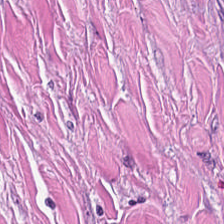Whole-slide-image patch; 20× equivalent magnification; hematoxylin and eosin — The tissue here is tumor-associated stroma.
